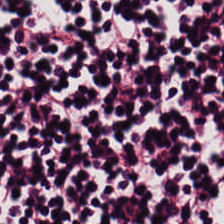Q: What is shown here?
A: The field shows lymphocyte aggregate.
